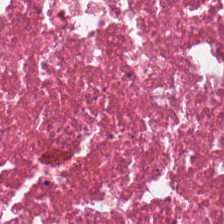H&E stain — Cellular debris.
